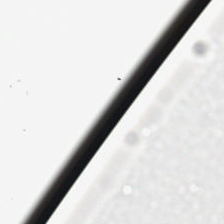Hematoxylin and eosin.
Field content = no tissue.
